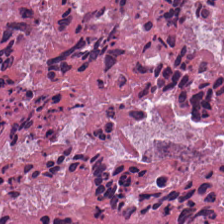H&E; 224×224 pixel tile. Predominant tissue — necrotic debris.
